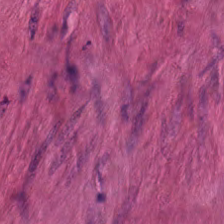Stain: hematoxylin and eosin.
Tissue type: smooth-muscle tissue.
